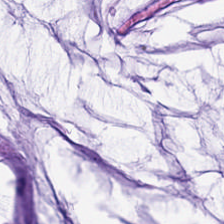H&E. 0.5 microns per pixel.
{"tissue_type": "mucin"}
